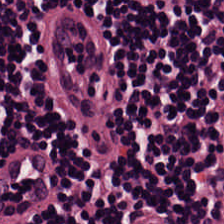H&E-stained tissue section. 0.5 microns per pixel — Q: What type of tissue is this?
A: It is lymphoid infiltrate.
